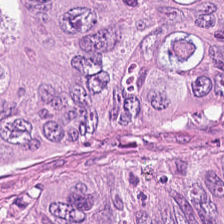Stain: hematoxylin and eosin.
Preparation: formalin-fixed paraffin-embedded section.
Acquisition: whole-slide-image patch.
Predominant tissue: malignant epithelium.
